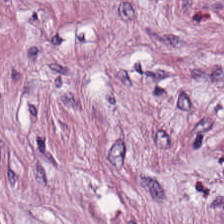Finding → tumor-associated stroma.
